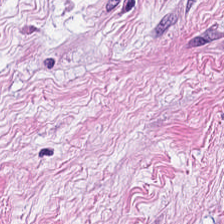Stain: hematoxylin-and-eosin stained section.
Preparation: formalin-fixed paraffin-embedded section.
Resolution: 0.5 microns per pixel.
Tissue type: cancer-associated stroma.
